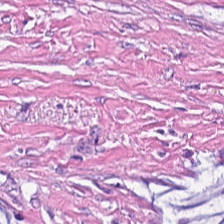Hematoxylin-and-eosin stained section.
Classification = desmoplastic stroma.
